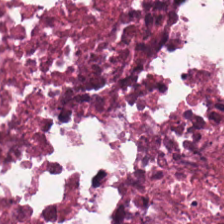Hematoxylin-and-eosin stained section — Tissue class = necrotic debris.
